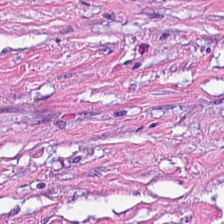H&E stain.
This patch shows tumor stroma.
